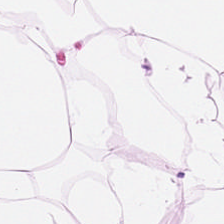H&E; FFPE; brightfield microscopy. This field is fat tissue.
